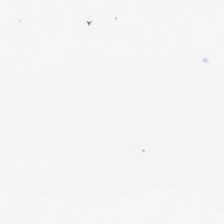H&E — Empty field — empty background.
